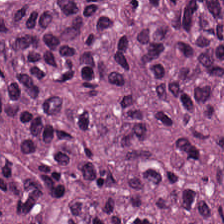H&E stain.
The tissue here is tumor epithelium.
